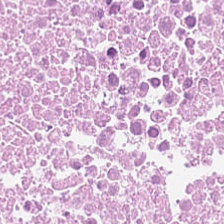Q: What is shown in this field?
A: Cellular debris.
